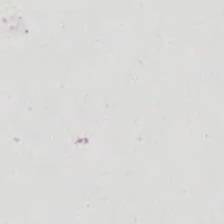Stain: H&E stain.
Content: empty background.
